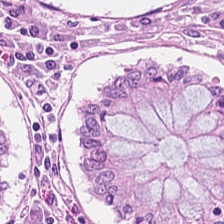H&E stain — The tissue here is non-neoplastic colon mucosa.
